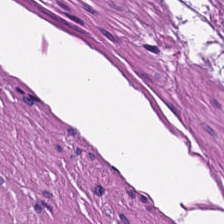H&E stain. Q: What tissue is shown?
A: It is smooth-muscle tissue.
